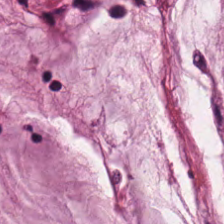Stain: hematoxylin and eosin.
Tissue: extracellular mucin.
